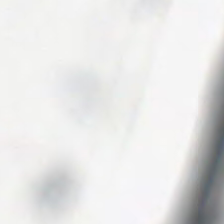Field content: empty background.
